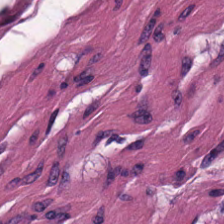H&E-stained tissue section. Impression — smooth muscle.
